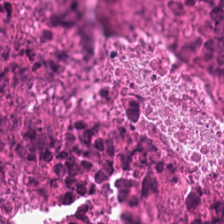Q: What is shown in this field?
A: Debris.
